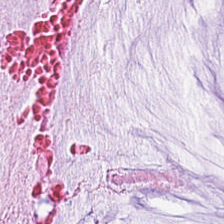{"tissue_type": "mucus"}
